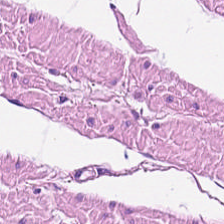Stain: hematoxylin and eosin.
Tissue class: smooth muscle.
